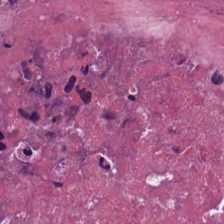20× equivalent magnification · brightfield microscopy · hematoxylin and eosin. Finding — necrotic debris.
